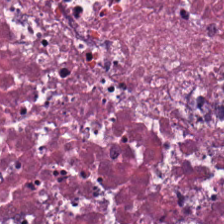20× equivalent magnification. Brightfield. Hematoxylin-and-eosin stained section. This patch shows cellular debris.
